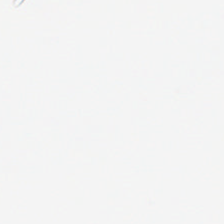Stain: hematoxylin-and-eosin stained section.
Classification: empty background.
